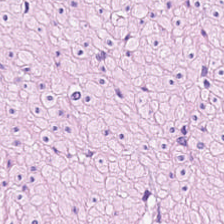224×224 pixel tile · hematoxylin and eosin.
The predominant tissue is muscularis.
